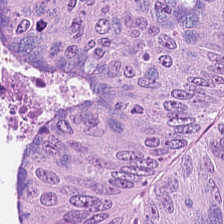The predominant tissue is adenocarcinoma.
